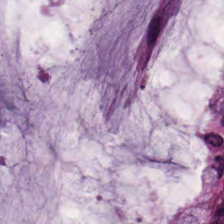H&E-stained tissue section.
Predominant tissue: mucus.
